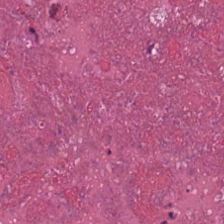H&E-stained tissue section.
This patch shows necrotic debris.
